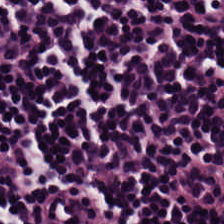224×224 px tile; H&E stain — The predominant tissue is lymphoid infiltrate.
